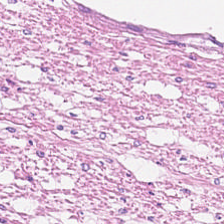H&E-stained tissue section. Tissue type: smooth-muscle tissue.
